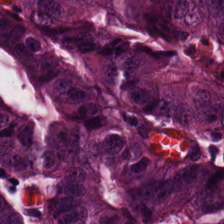20× equivalent magnification; hematoxylin and eosin.
The tissue here is adenocarcinoma.
